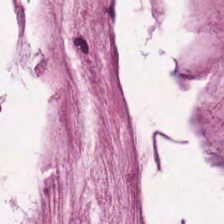Hematoxylin-and-eosin stained section.
The predominant tissue is mucin.
